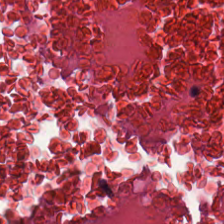H&E · 0.5 µm per pixel — Tissue — debris.
